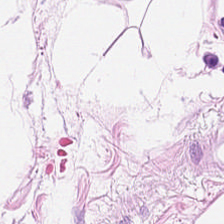Stain: hematoxylin and eosin.
Tissue class: adipose.
